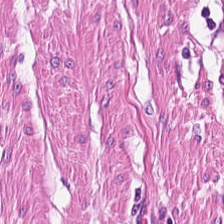H&E.
Predominantly smooth-muscle tissue.
